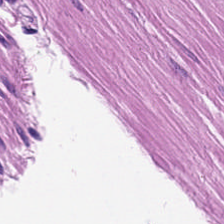224×224 pixel tile; H&E. Finding — muscularis.
